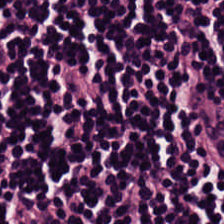H&E-stained section; the field shows lymphocytes.
